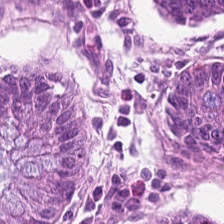H&E stain — Finding — normal colonic mucosa.
